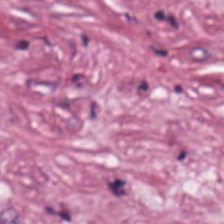H&E stain.
Q: What is the predominant tissue type?
A: This is desmoplastic stroma.
